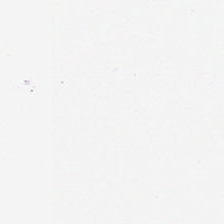Content — empty background.
